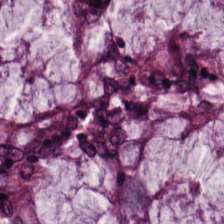Stain: hematoxylin and eosin.
Resolution: 0.5 µm per pixel.
Tissue: benign colonic mucosa.
